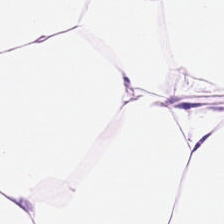H&E-stained tissue section — This field is adipose tissue.
